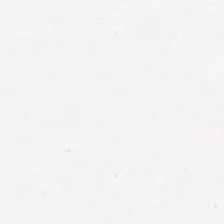This patch shows background (no tissue).
